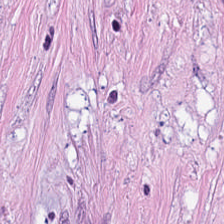H&E stain. WSI patch. The tissue here is tumor stroma.
